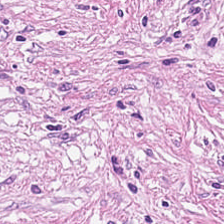Desmoplastic stroma.
